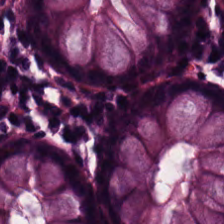H&E — normal colonic mucosa.
